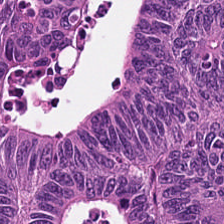0.5 µm per pixel; H&E — Histology → tumor epithelium.
